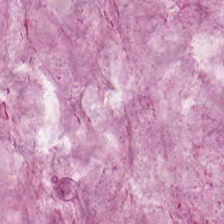Hematoxylin-and-eosin section: mucus.
